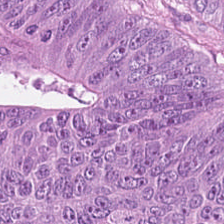Hematoxylin and eosin.
Predominant tissue — tumor epithelium.
